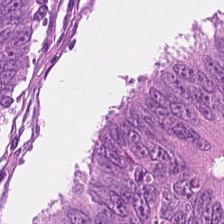H&E — Histology → colorectal adenocarcinoma epithelium.
